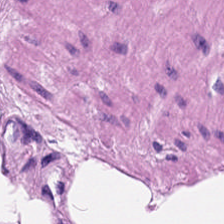H&E · 224×224 px patch · FFPE — Muscularis.
